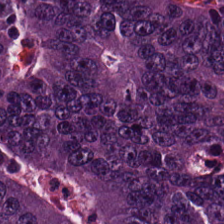H&E stain — Adenocarcinoma.
